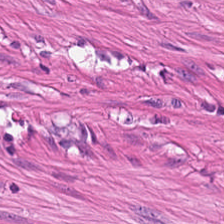Hematoxylin and eosin.
Tissue type — muscularis.
